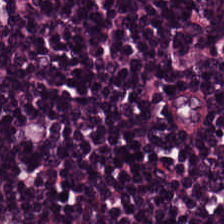H&E-stained tissue section. This patch shows lymphocytes.
